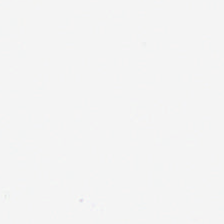Classification = no tissue.
